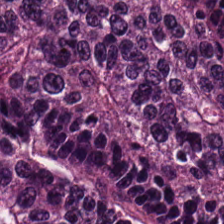Hematoxylin and eosin.
Showing malignant epithelium.
